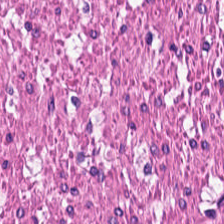H&E stain. Q: What does this patch show?
A: This is muscularis.
